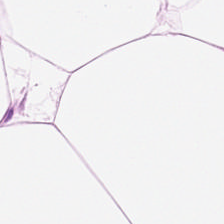Hematoxylin-and-eosin stained section — Q: What is shown here?
A: Fat tissue.
